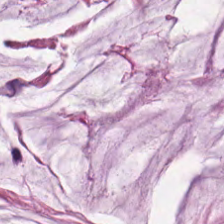Showing extracellular mucin.
